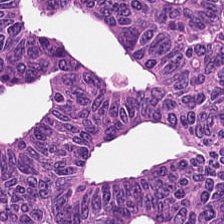20× equivalent magnification; hematoxylin and eosin — This field is tumor epithelium.
